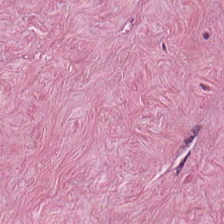H&E.
Q: What is shown in this field?
A: This is tumor-associated stroma.
